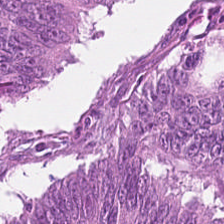Formalin-fixed paraffin-embedded section; H&E-stained tissue section. Predominantly colorectal adenocarcinoma.
